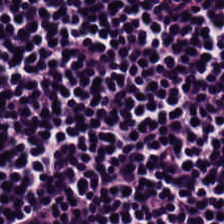H&E-stained tissue section; whole-slide-image patch — {"tissue_type": "lymphocyte aggregate"}
